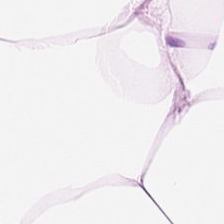H&E. The tissue is adipose tissue.
